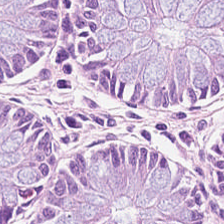H&E-stained tissue section. The tissue class is normal colonic mucosa.
